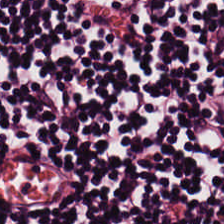Finding → lymphocytic infiltrate.
